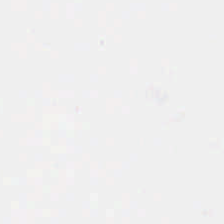Whole-slide-image patch · 0.5 µm/px · H&E-stained tissue section. Histology → background.
